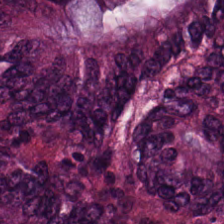Whole-slide-image patch; 20× equivalent magnification; hematoxylin-and-eosin stained section. The predominant tissue is malignant epithelium.
